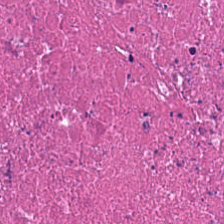FFPE tissue section · hematoxylin and eosin · 20× equivalent magnification. Cellular debris.
